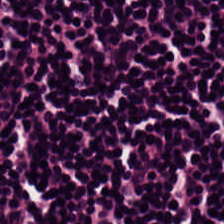WSI patch. Hematoxylin-and-eosin stained section. 224×224 pixel tile.
Histology → lymphocytes.
